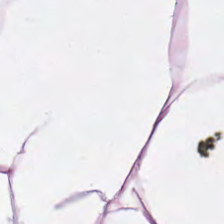H&E stain — Finding — adipocytes.
